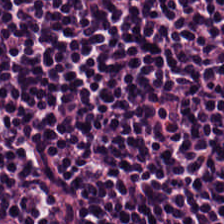Hematoxylin and eosin; 0.5 µm per pixel — Lymphoid infiltrate.
